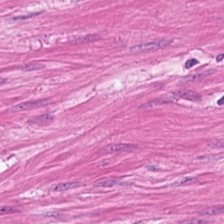Hematoxylin and eosin — Tissue type = smooth-muscle tissue.
